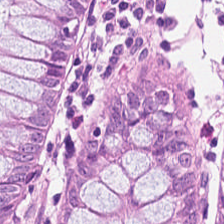Hematoxylin and eosin. Brightfield. Benign colonic mucosa.
